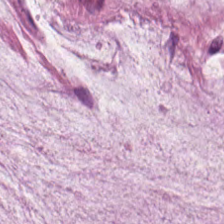Extracellular mucin.
